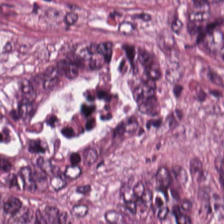H&E-stained tissue section showing malignant epithelium.
